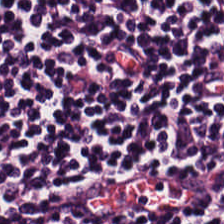Q: What is shown in this field?
A: Lymphocyte aggregate.
